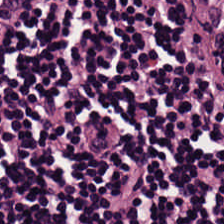H&E patch showing lymphoid infiltrate.
